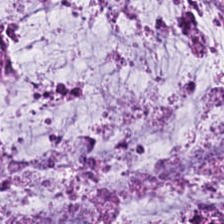H&E stain — Predominant tissue = extracellular mucin.
